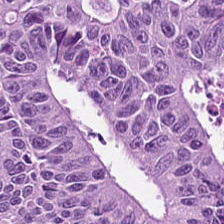Tissue — colorectal adenocarcinoma.
